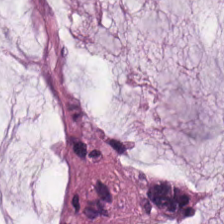Stain: H&E.
Resolution: 0.5 µm per pixel.
Tissue type: extracellular mucin.
